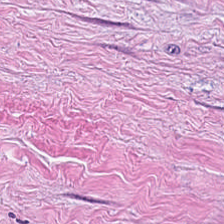Hematoxylin and eosin.
Predominant tissue = tumor stroma.
